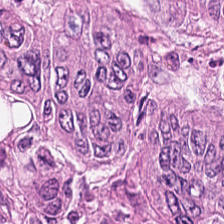224×224 px tile · hematoxylin-and-eosin stained section · brightfield microscopy.
Showing adenocarcinoma.
